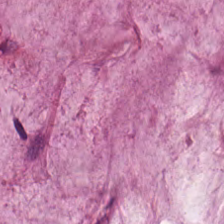Hematoxylin and eosin; 224×224 px tile.
Q: What is shown in this field?
A: It is mucus.
